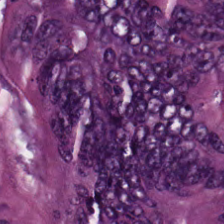H&E; whole-slide-image patch; 20× equivalent magnification.
{"tissue_type": "adenocarcinoma"}
